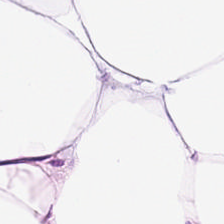Hematoxylin-and-eosin stained section. Q: What tissue is shown?
A: Adipose.
